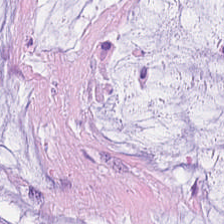Predominant tissue = extracellular mucin.
